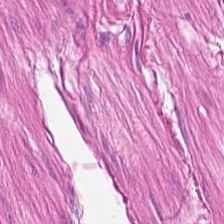Stain: H&E stain.
Predominant tissue: smooth-muscle tissue.
